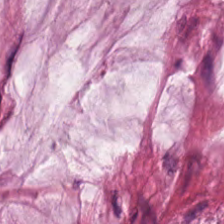Hematoxylin-and-eosin stained section. The tissue here is mucus.
